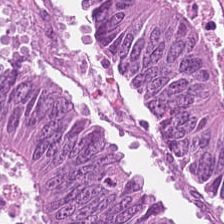Tissue type — adenocarcinoma.
